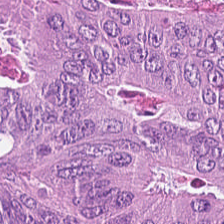Stain: H&E-stained tissue section.
Classification: adenocarcinoma.
